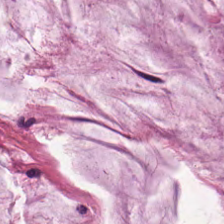Hematoxylin and eosin.
Tissue class — mucus.
